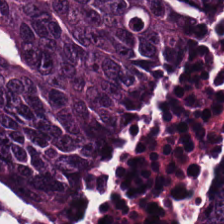Stain: hematoxylin and eosin.
Acquisition: WSI patch.
Tissue class: malignant epithelium.
